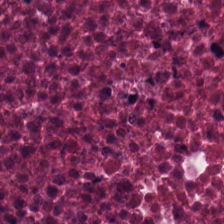H&E stain. Necrotic debris.
